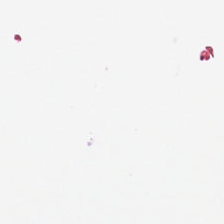H&E · WSI patch. Q: What is shown here?
A: The field shows no tissue.
